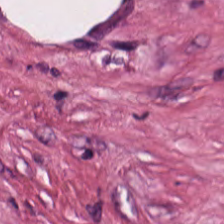Hematoxylin and eosin.
Q: Classify this patch.
A: This is tumor stroma.
